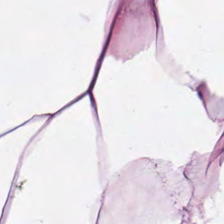Stain: H&E stain.
Tissue: adipose.
